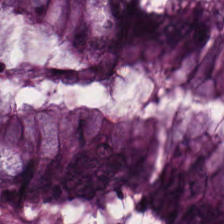0.5 µm/px · hematoxylin-and-eosin stained section.
{"tissue_type": "benign colonic mucosa"}
